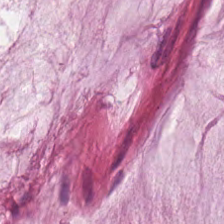H&E stain.
Predominantly mucus.
